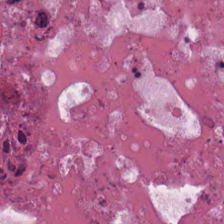Stain: H&E stain.
Tissue type: necrotic debris.
